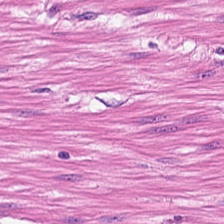Stain: hematoxylin-and-eosin stained section.
Tile size: 224×224 pixel tile.
Tissue type: smooth-muscle tissue.
